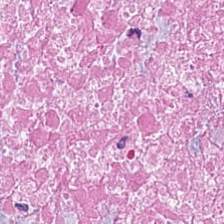Hematoxylin-and-eosin stained section. The tissue here is debris.
